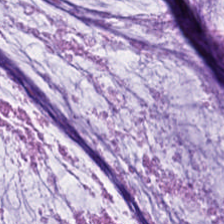Q: What tissue is shown?
A: This is mucin.
